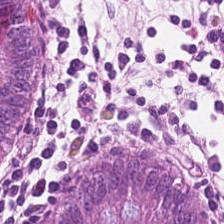Hematoxylin-and-eosin stained section; brightfield microscopy; 20× equivalent magnification — Histology → benign colonic mucosa.
